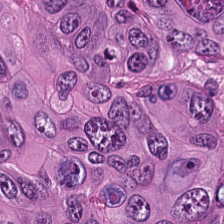H&E · FFPE — Showing tumor epithelium.
